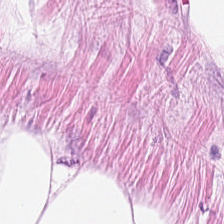Hematoxylin-and-eosin stained section.
Showing fat tissue.
